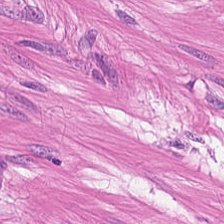H&E. This patch shows muscularis.
